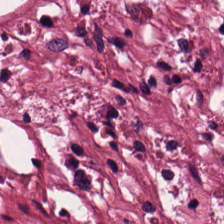0.5 µm/px. H&E. The tissue type is desmoplastic stroma.
